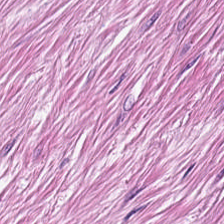The tissue class is tumor stroma.
